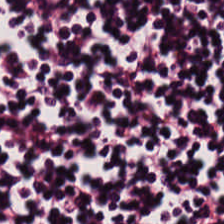H&E-stained tissue section. Q: What is shown here?
A: The field shows lymphocyte aggregate.
